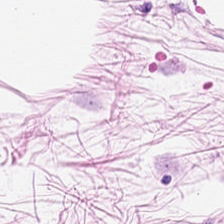Hematoxylin-and-eosin section: adipose tissue.
